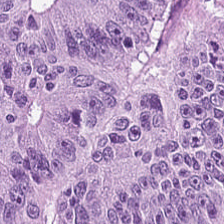H&E — This patch shows adenocarcinoma.
